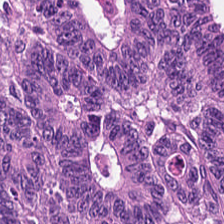Brightfield. H&E. FFPE — Finding → malignant epithelium.
